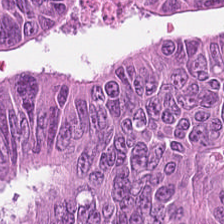Hematoxylin-and-eosin stained section. {"tissue_type": "malignant epithelium"}
